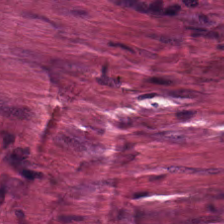Stain: H&E-stained tissue section.
Classification: cancer-associated stroma.
